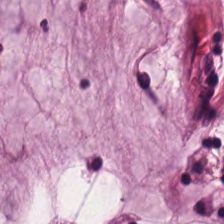Hematoxylin-and-eosin stained section. The predominant tissue is mucus.
